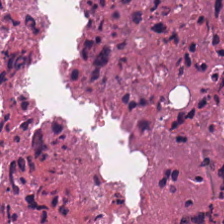Brightfield; H&E-stained tissue section — Predominant tissue: debris.
